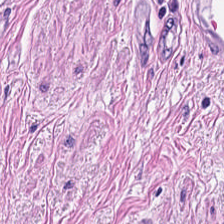H&E-stained tissue section; 224×224 pixel tile. This patch shows smooth muscle.
